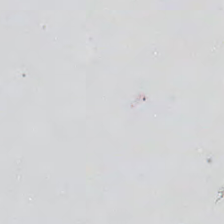H&E-stained tissue section. This field is background (no tissue).
